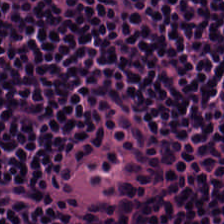Hematoxylin-and-eosin stained section — This patch shows lymphocyte aggregate.
